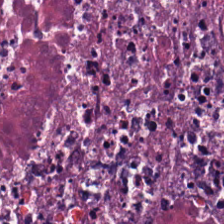WSI patch; H&E; FFPE.
Tissue: cellular debris.
